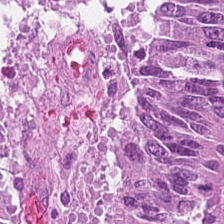H&E · 224×224 px tile. Showing colorectal adenocarcinoma epithelium.
